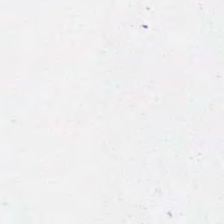Hematoxylin-and-eosin stained section; WSI patch.
Background — no tissue in this field.
